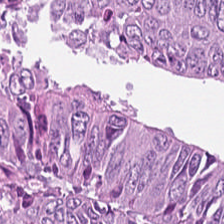H&E-stained tissue section — The tissue here is colorectal adenocarcinoma epithelium.
